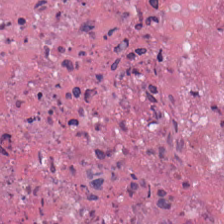224×224 pixel tile. H&E-stained tissue section — Showing necrotic debris.
